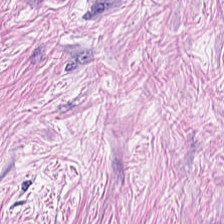Cancer-associated stroma.
